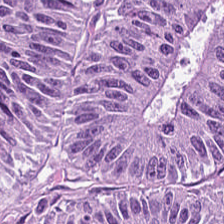The predominant tissue is malignant epithelium.
